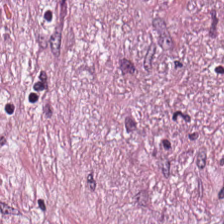Q: What does this patch show?
A: Tumor stroma.
